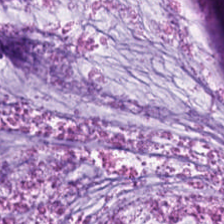{"tissue_type": "mucus"}
